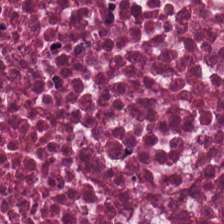Hematoxylin-and-eosin stained section.
The tissue here is necrotic debris.
